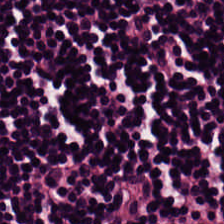Stain: H&E.
Tissue: lymphocytes.
